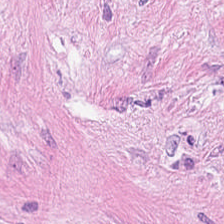H&E-stained tissue section. The predominant tissue is tumor-associated stroma.
